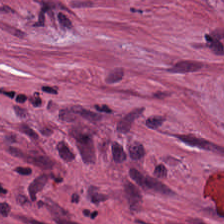Stain: H&E.
Tile size: 224×224 px tile.
Tissue class: desmoplastic stroma.
